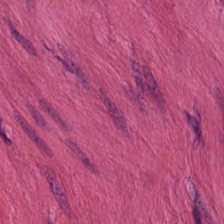H&E stain; 20× equivalent magnification.
Q: What does this patch show?
A: This is smooth-muscle tissue.
